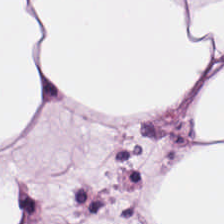Stain: H&E.
Tile size: 224×224 px patch.
Predominant tissue: fat tissue.
